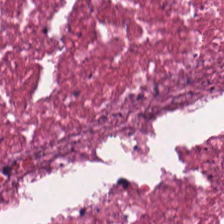224×224 px tile · hematoxylin-and-eosin stained section — Predominantly cellular debris.
